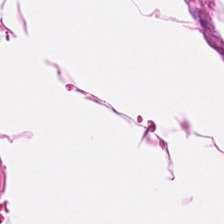Predominant tissue = muscularis.
